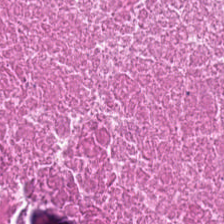This field is debris.
